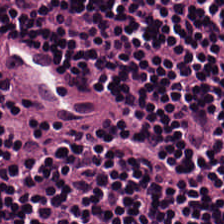H&E — This field is lymphocytes.
